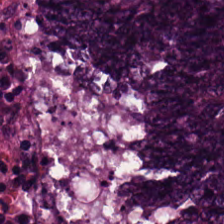H&E.
Predominant tissue = tumor epithelium.
